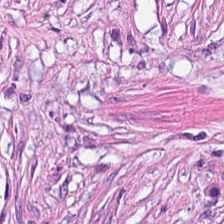Hematoxylin and eosin — {"tissue_type": "tumor stroma"}
